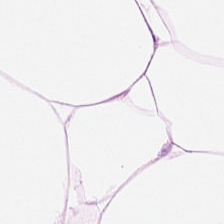Brightfield microscopy; 0.5 µm/px; H&E-stained tissue section. The predominant tissue is adipose.
